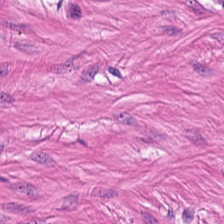The tissue type is smooth-muscle tissue.
